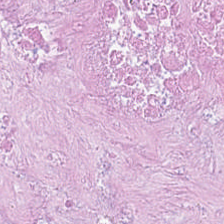The tissue type is debris.
